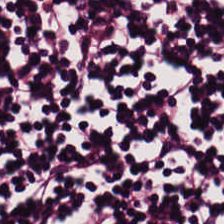WSI patch; hematoxylin and eosin.
{"tissue_type": "lymphocytic infiltrate"}
